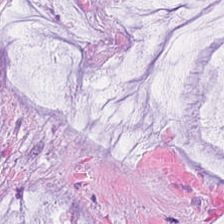20× equivalent magnification. H&E stain. FFPE tissue section — Tissue: extracellular mucin.
